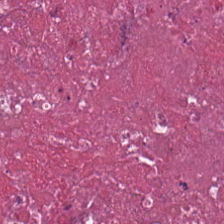H&E.
The tissue here is cellular debris.
